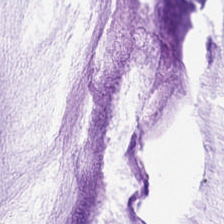WSI patch · H&E-stained tissue section — Mucin.
